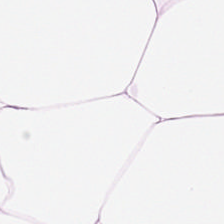Brightfield microscopy. Hematoxylin-and-eosin stained section. 0.5 µm per pixel. Impression → adipocytes.
